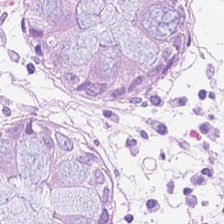{"tissue_type": "normal colonic mucosa"}
